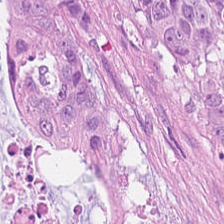Hematoxylin and eosin. Adenocarcinoma.
